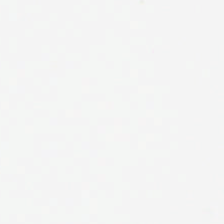Hematoxylin and eosin. 224×224 pixel tile. Content = background (no tissue).
